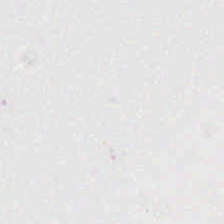Stain: hematoxylin and eosin.
Classification: background.
